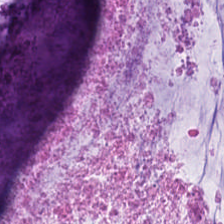Whole-slide-image patch; H&E.
Q: Identify the tissue.
A: Mucus.
